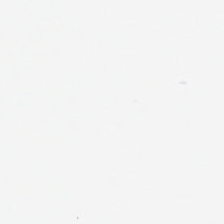This patch shows no tissue.
